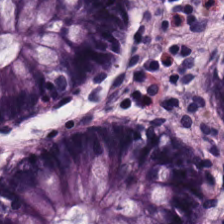The tissue type is non-neoplastic colon mucosa.
